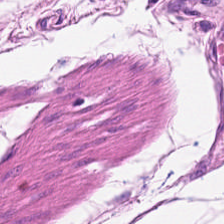Stain: hematoxylin and eosin.
Preparation: FFPE tissue section.
Tissue: smooth-muscle tissue.
